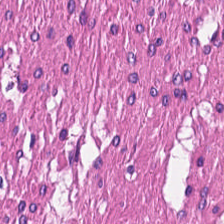Stain: H&E stain.
Preparation: FFPE tissue section.
Tissue: smooth muscle.
